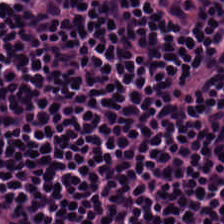Formalin-fixed paraffin-embedded section. H&E-stained tissue section. 0.5 microns per pixel. Classification = lymphocyte aggregate.
